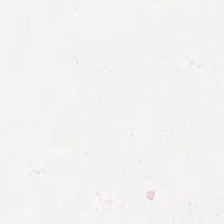Hematoxylin-and-eosin stained section.
Empty background.
